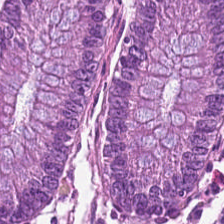H&E stain — Classification: benign colonic mucosa.
